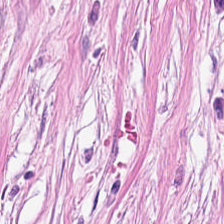Tissue type — desmoplastic stroma.
